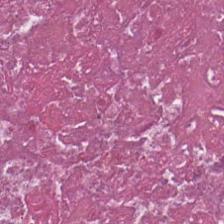Hematoxylin and eosin. Q: What tissue is shown?
A: The field shows cellular debris.
